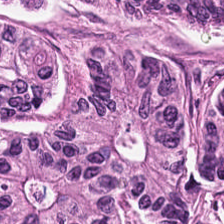Whole-slide-image patch · 20× equivalent magnification · hematoxylin-and-eosin stained section — Q: What is shown in this field?
A: The field shows adenocarcinoma.
